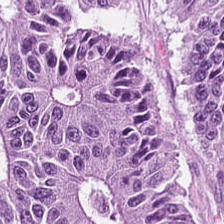H&E — Colorectal adenocarcinoma.
